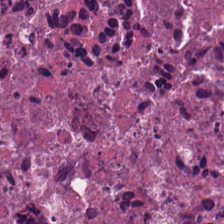H&E-stained tissue section — Predominant tissue — necrotic debris.
